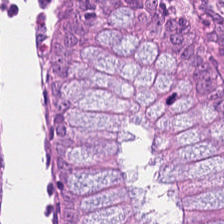224×224 px tile. H&E-stained tissue section. FFPE tissue section — This patch shows normal colonic mucosa.
